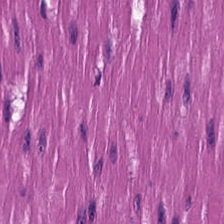H&E · whole-slide-image patch · 224×224 pixel tile. Q: Identify the tissue.
A: The field shows smooth muscle.
